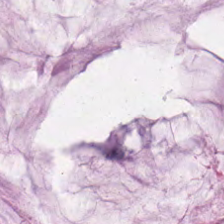Hematoxylin-and-eosin stained section.
This patch shows extracellular mucin.
